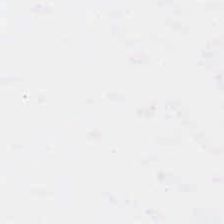H&E stain · 0.5 microns per pixel — Q: Classify this patch.
A: This is background (no tissue).
